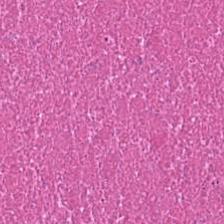Stain: H&E-stained tissue section.
Tile size: 224×224 px tile.
Preparation: FFPE.
Tissue: necrotic debris.
